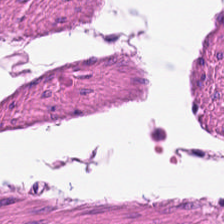H&E.
The tissue is smooth muscle.
